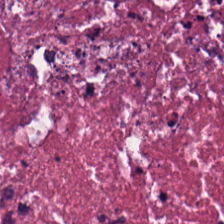Hematoxylin-and-eosin stained section — Q: What type of tissue is this?
A: It is cellular debris.
